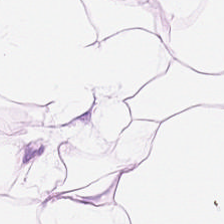FFPE. H&E — Fat tissue.
